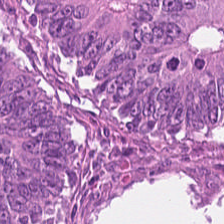FFPE tissue section · hematoxylin and eosin.
{"tissue_type": "malignant epithelium"}
